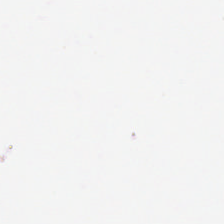20× equivalent magnification; hematoxylin-and-eosin stained section. Empty field — background.
